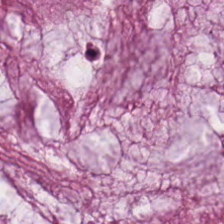Hematoxylin-and-eosin stained section.
Predominantly mucin.
